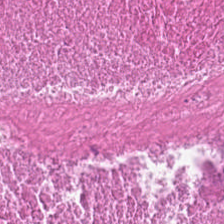224×224 px patch. 0.5 µm/px. H&E stain. {"tissue_type": "debris"}
